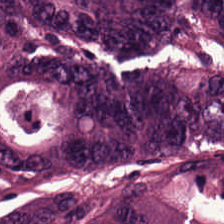Hematoxylin-and-eosin stained section · 224×224 pixel tile.
Tumor epithelium.
